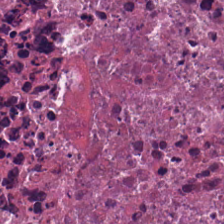Q: What does this patch show?
A: It is cellular debris.
